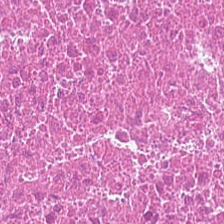Hematoxylin-and-eosin stained section; 224×224 px patch. The predominant tissue is debris.
